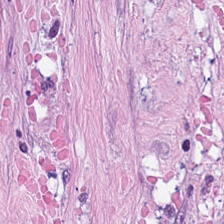Tissue = cancer-associated stroma.
